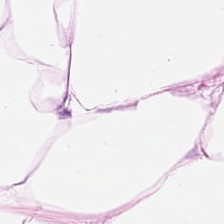0.5 microns per pixel. Hematoxylin and eosin.
Impression — fat tissue.
